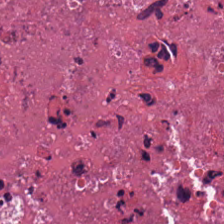Hematoxylin-and-eosin section: cellular debris.
